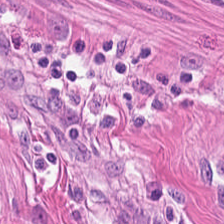Stain: H&E stain.
Tissue: smooth muscle.
